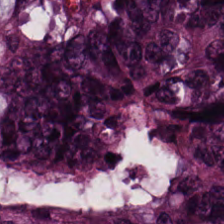Hematoxylin and eosin · 0.5 µm/px. Q: What tissue type is shown here?
A: This is malignant epithelium.
